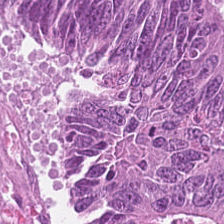H&E stain. 224×224 pixel tile. This patch shows malignant epithelium.
